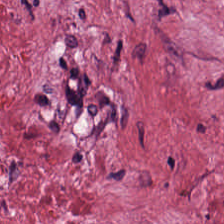Hematoxylin-and-eosin stained section. The tissue here is tumor stroma.
